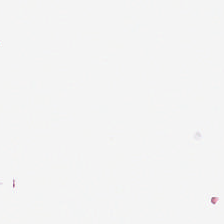0.5 microns per pixel · H&E-stained tissue section — Content: background.
